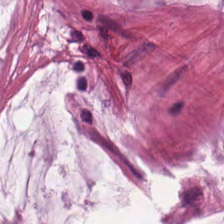Tissue type = mucus.
